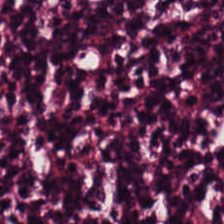Hematoxylin-and-eosin stained section. Q: What tissue type is shown here?
A: Lymphocytic infiltrate.
